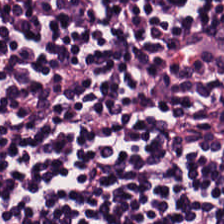Hematoxylin and eosin.
The tissue class is lymphocytic infiltrate.
